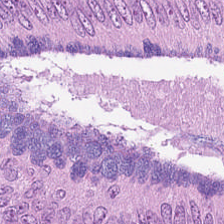H&E-stained tissue section. Predominant tissue: adenocarcinoma.
